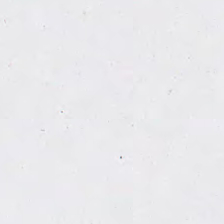FFPE; brightfield; H&E stain. The field content is no tissue.
